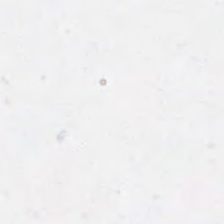H&E-stained tissue section · 224×224 px tile. This field is background (no tissue).
